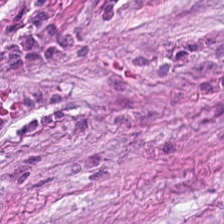H&E-stained section; the field shows cancer-associated stroma.
